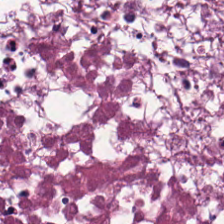H&E-stained tissue section — Tissue = necrotic debris.
